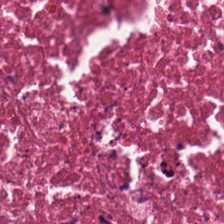Formalin-fixed paraffin-embedded section · 0.5 µm/px · H&E stain. The predominant tissue is necrotic debris.
